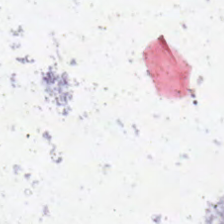Hematoxylin and eosin. No tissue present; background only.
